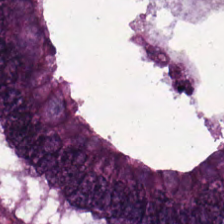Hematoxylin and eosin — Q: Classify this patch.
A: It is colorectal adenocarcinoma epithelium.
